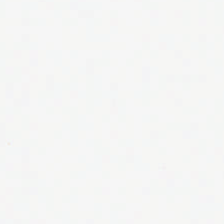H&E; 0.5 µm per pixel. Q: What is shown here?
A: The field shows background (no tissue).
